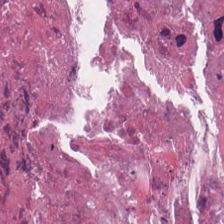The predominant tissue is debris.
